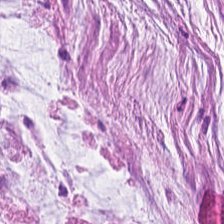Stain: H&E.
Predominant tissue: extracellular mucin.
